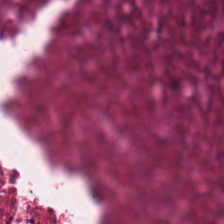224×224 pixel tile. H&E stain. Predominantly debris.
